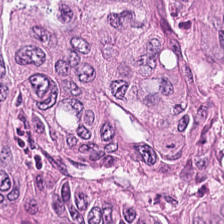Stain: H&E stain.
Tissue: malignant epithelium.
